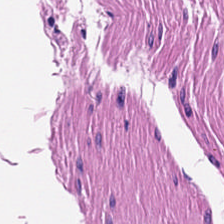224×224 px patch · WSI patch · H&E stain. Tissue type = smooth muscle.
